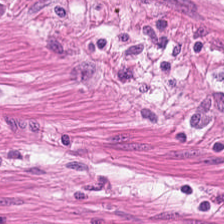H&E stain — Q: Classify this patch.
A: It is smooth-muscle tissue.
